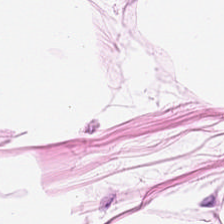Showing adipose tissue.
